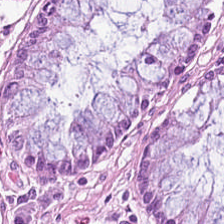Hematoxylin-and-eosin stained section.
Finding → normal colon mucosa.
